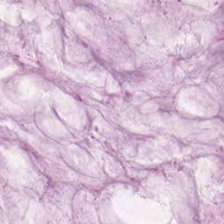Hematoxylin and eosin — Predominant tissue — mucus.
